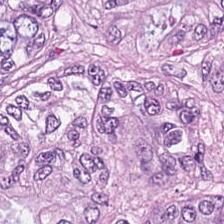Stain: hematoxylin and eosin.
Resolution: 0.5 microns per pixel.
Preparation: FFPE.
Predominant tissue: adenocarcinoma.
